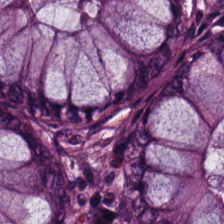224×224 px tile · H&E stain — Q: What is shown here?
A: It is non-neoplastic colon mucosa.
